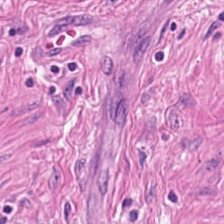Whole-slide-image patch. H&E.
This field is muscularis.
